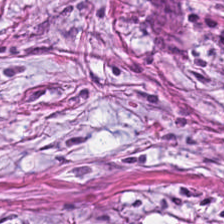H&E-stained tissue section. The predominant tissue is cancer-associated stroma.
